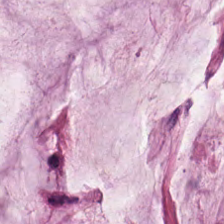H&E-stained tissue section. Q: Identify the tissue.
A: This is mucus.
